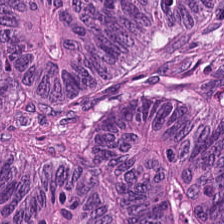Stain: hematoxylin and eosin.
Tile size: 224×224 px tile.
Preparation: FFPE.
Tissue type: malignant epithelium.
